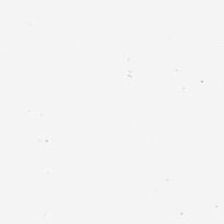Hematoxylin-and-eosin stained section. Classification: background (no tissue).
